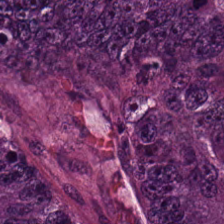The tissue class is malignant epithelium.
